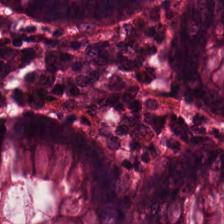Hematoxylin-and-eosin stained section. Whole-slide-image patch. The predominant tissue is normal colon mucosa.
